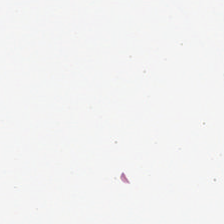Stain: H&E-stained tissue section.
Field content: background (no tissue).
